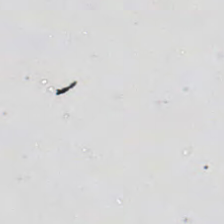0.5 µm/px; brightfield; hematoxylin-and-eosin stained section.
Q: What is shown here?
A: This is no tissue.
